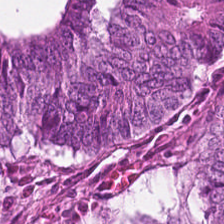{"tissue_type": "tumor epithelium"}
